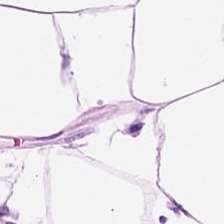Formalin-fixed paraffin-embedded section · hematoxylin-and-eosin stained section — Classification: fat tissue.
